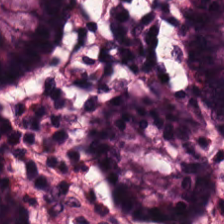0.5 microns per pixel; FFPE tissue section; hematoxylin-and-eosin stained section.
Q: What type of tissue is this?
A: Normal colon mucosa.
